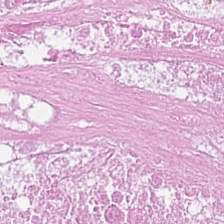Stain: hematoxylin and eosin.
Classification: debris.
